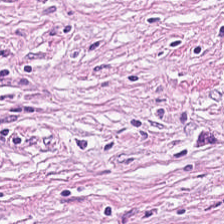H&E-stained tissue section · 224×224 pixel tile — Tissue = tumor stroma.
